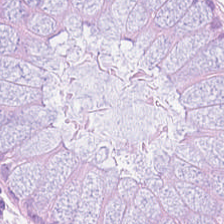Hematoxylin-and-eosin stained section. This patch shows normal colon mucosa.
